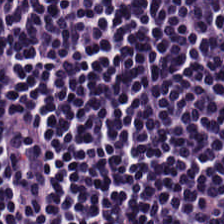Formalin-fixed paraffin-embedded section; H&E. Tissue class — lymphoid infiltrate.
